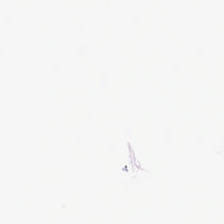Hematoxylin-and-eosin stained section; 0.5 µm/px — Field content = background.
